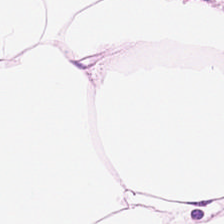H&E stain. This patch shows adipose tissue.
